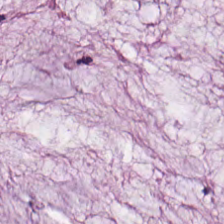Hematoxylin and eosin — The tissue class is mucus.
